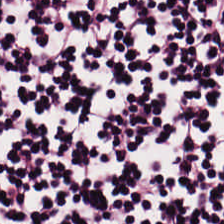WSI patch; H&E-stained tissue section; 20× equivalent magnification — Lymphocytic infiltrate.
